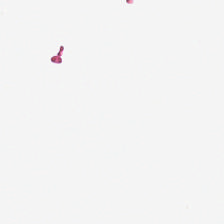0.5 µm/px. H&E. Q: What is shown here?
A: It is background (no tissue).
